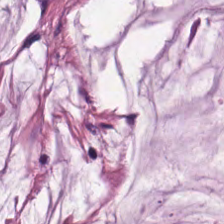Hematoxylin-and-eosin stained section.
Tissue type = mucin.
